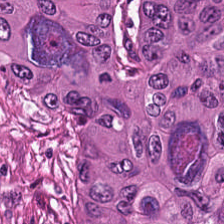224×224 px patch; FFPE tissue section; H&E-stained tissue section.
The predominant tissue is malignant epithelium.
